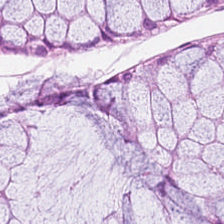Stain: H&E.
Tissue class: non-neoplastic colon mucosa.
